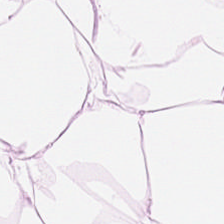H&E.
Tissue: adipose.
